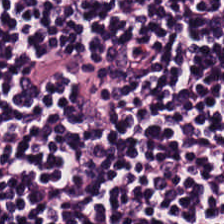0.5 microns per pixel · H&E. Predominantly lymphoid infiltrate.
